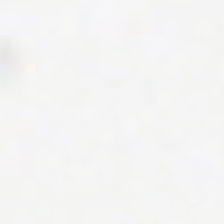H&E — Q: What is shown here?
A: This is empty background.
